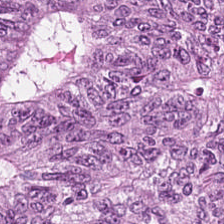This field is colorectal adenocarcinoma epithelium.
